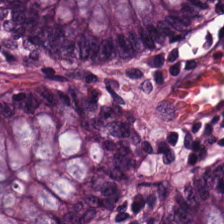The predominant tissue is normal colon mucosa.
